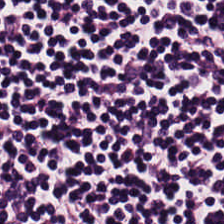H&E — lymphocytic infiltrate.
